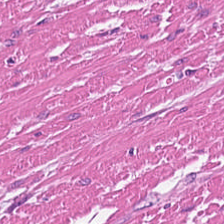H&E-stained tissue section — Q: What is shown here?
A: Smooth muscle.
